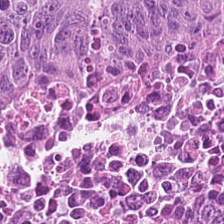Predominantly malignant epithelium.
